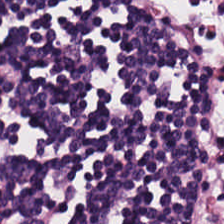FFPE · H&E stain — The predominant tissue is lymphocyte aggregate.
